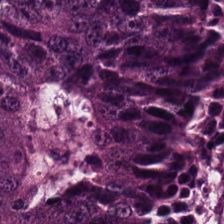H&E-stained tissue section; 224×224 pixel tile — Predominant tissue — colorectal adenocarcinoma.
